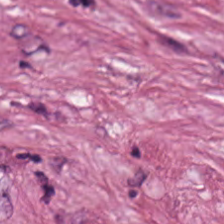H&E-stained tissue section. 224×224 px tile — Tissue type: tumor stroma.
